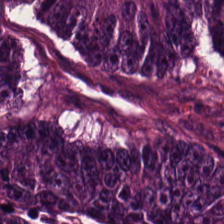H&E-stained tissue section. Q: What type of tissue is this?
A: This is colorectal adenocarcinoma.
